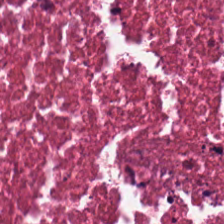{"tissue_type": "debris"}
